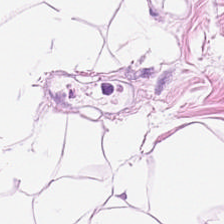H&E — This patch shows adipose.
